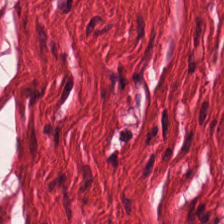Formalin-fixed paraffin-embedded section · H&E-stained tissue section. {"tissue_type": "smooth-muscle tissue"}
